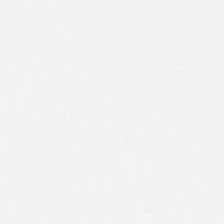Classification: empty background.
